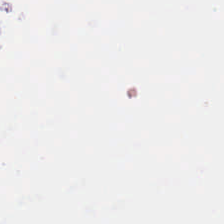Content: no tissue.
